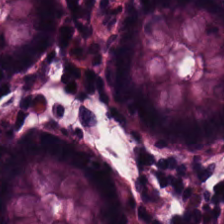The tissue here is normal colonic mucosa.
